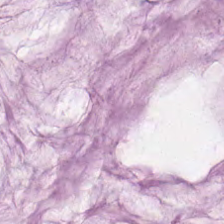H&E.
Tissue class — mucin.
